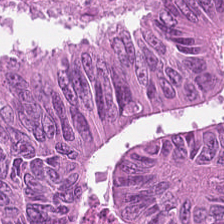H&E.
The tissue class is malignant epithelium.
